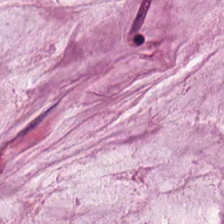H&E-stained section; the field shows extracellular mucin.
